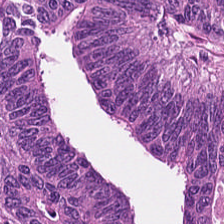H&E-stained tissue section showing colorectal adenocarcinoma epithelium.
